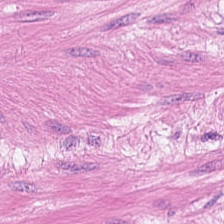WSI patch · H&E stain.
{"tissue_type": "smooth-muscle tissue"}
